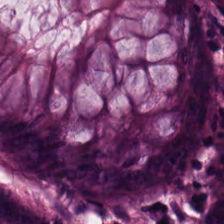Stain: H&E-stained tissue section.
Tissue class: benign colonic mucosa.
